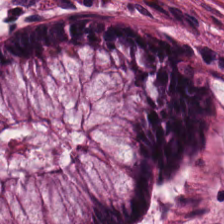Formalin-fixed paraffin-embedded section; 0.5 µm/px; hematoxylin-and-eosin stained section. The tissue here is non-neoplastic colon mucosa.
